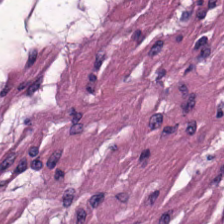WSI patch · hematoxylin and eosin — Impression — muscularis.
